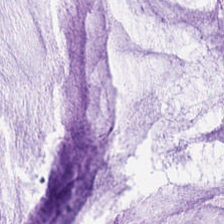H&E.
Extracellular mucin.
